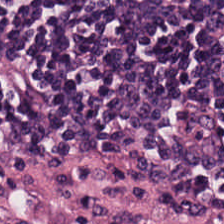Hematoxylin and eosin.
Tissue type = lymphocytic infiltrate.
